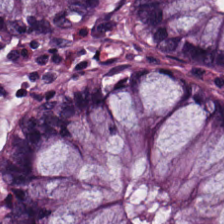Classification: benign colonic mucosa.
